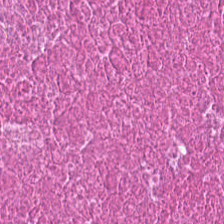Hematoxylin and eosin; 0.5 µm per pixel; whole-slide-image patch.
Tissue class = cellular debris.
